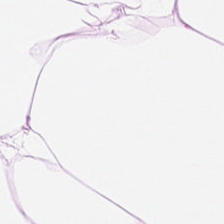H&E patch showing adipose tissue.
